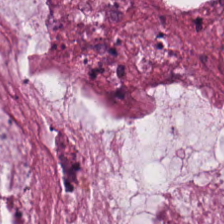Hematoxylin and eosin.
The tissue here is extracellular mucin.
